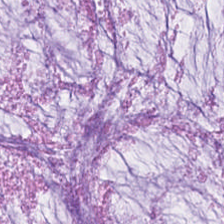Stain: hematoxylin and eosin.
Predominant tissue: mucus.
